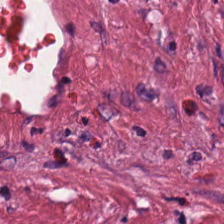Stain: H&E-stained tissue section.
Tissue: desmoplastic stroma.
